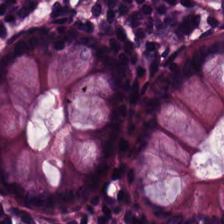Hematoxylin-and-eosin stained section · FFPE — Q: Classify this patch.
A: Non-neoplastic colon mucosa.
